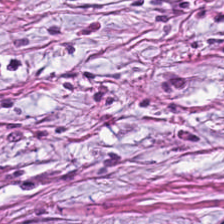0.5 µm per pixel. Hematoxylin-and-eosin stained section.
This field is cancer-associated stroma.
